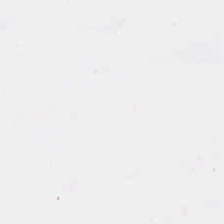H&E-stained tissue section.
Content — empty background.
